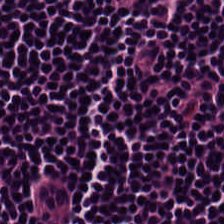Predominant tissue — lymphoid infiltrate.
